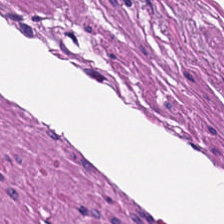Stain: H&E.
Tissue type: smooth-muscle tissue.
